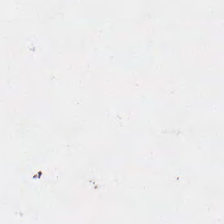H&E stain — Empty field — empty background.
